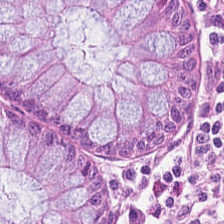Normal colon mucosa.
